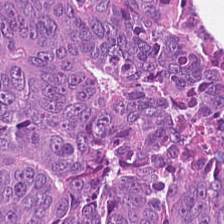Hematoxylin-and-eosin stained section — This field is tumor epithelium.
